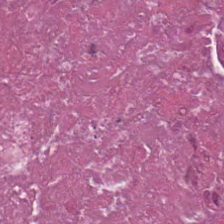224×224 px patch. 0.5 microns per pixel. H&E stain — Predominantly necrotic debris.
